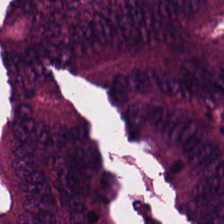Formalin-fixed paraffin-embedded section. Hematoxylin-and-eosin stained section — The predominant tissue is tumor epithelium.
